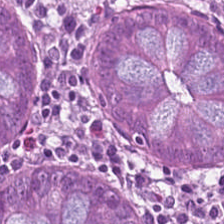H&E stain. This field is normal colon mucosa.
